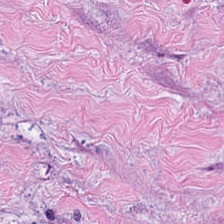Hematoxylin-and-eosin stained section; whole-slide-image patch.
Predominantly tumor stroma.
